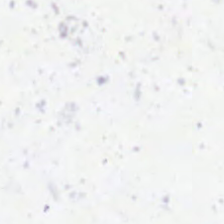224×224 px patch; H&E-stained tissue section. This patch shows background (no tissue).
